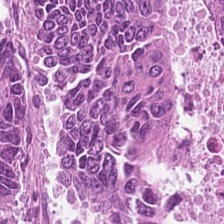H&E — The predominant tissue is colorectal adenocarcinoma epithelium.
